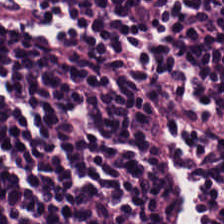H&E stain.
Q: What does this patch show?
A: The field shows lymphocytes.
